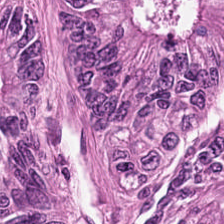H&E-stained section; the field shows adenocarcinoma.
